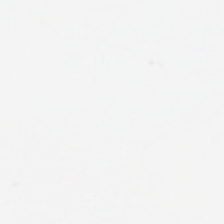Q: What does this patch show?
A: The field shows no tissue.
